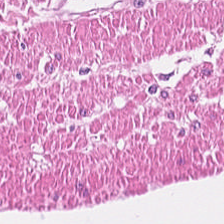Q: What does this patch show?
A: Smooth-muscle tissue.
